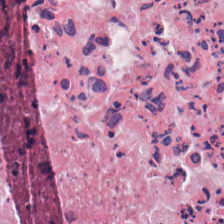H&E-stained tissue section; 224×224 pixel tile — The tissue type is necrotic debris.
